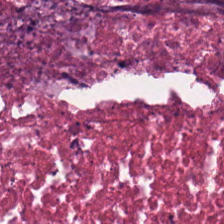H&E stain.
Q: What is shown here?
A: It is debris.
